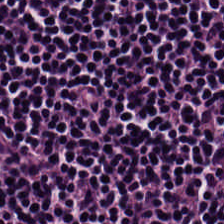Hematoxylin-and-eosin stained section — Tissue type = lymphocytic infiltrate.
